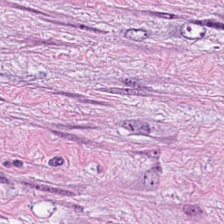0.5 µm/px · H&E.
Predominantly tumor-associated stroma.
